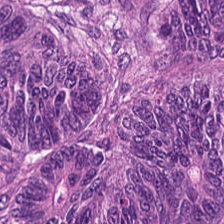Hematoxylin-and-eosin stained section — The predominant tissue is tumor epithelium.
